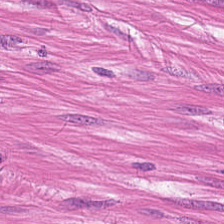Hematoxylin-and-eosin stained section. Q: What is shown in this field?
A: This is smooth muscle.
